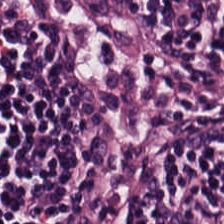FFPE. Brightfield microscopy. H&E-stained tissue section.
Tissue class — lymphocytic infiltrate.
